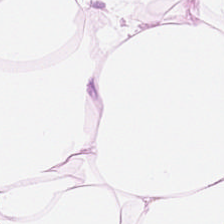Hematoxylin and eosin.
Q: What is shown in this field?
A: Fat tissue.
